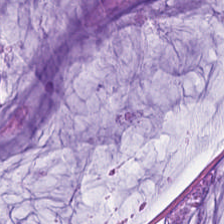Q: What type of tissue is this?
A: Extracellular mucin.
